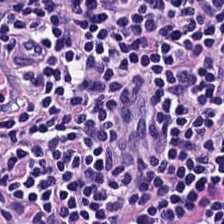Hematoxylin and eosin · FFPE. The predominant tissue is lymphocytes.
